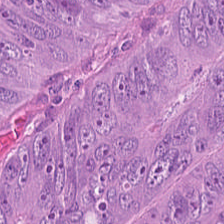H&E.
Impression — colorectal adenocarcinoma.
